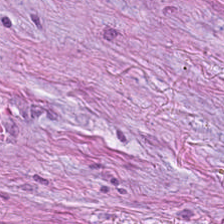Hematoxylin and eosin. The predominant tissue is tumor stroma.
